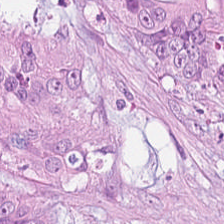Showing colorectal adenocarcinoma.
